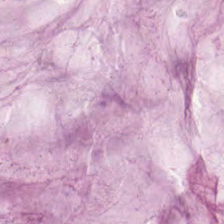Hematoxylin and eosin.
The tissue type is extracellular mucin.
